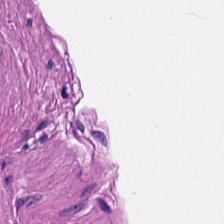H&E — Impression — smooth muscle.
